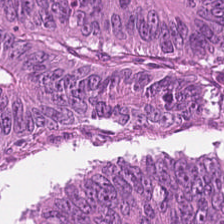H&E-stained section; the field shows colorectal adenocarcinoma epithelium.
